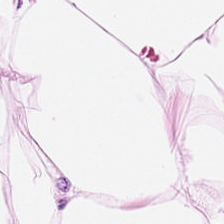Hematoxylin-and-eosin stained section; WSI patch.
This field is adipocytes.
